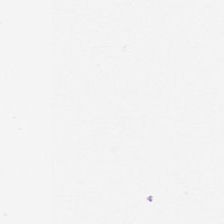Stain: hematoxylin and eosin.
Content: background (no tissue).
